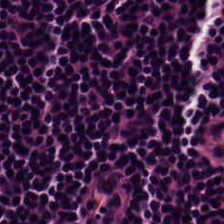Classification = lymphocytes.
